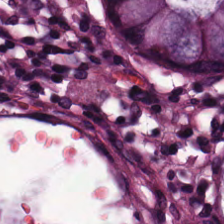This field is normal colonic mucosa.
